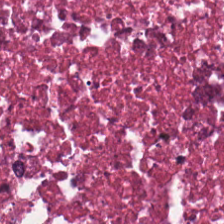Stain: hematoxylin-and-eosin stained section.
Tissue type: cellular debris.
